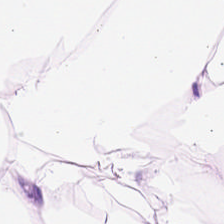H&E stain. WSI patch — Q: What tissue is shown?
A: The field shows adipocytes.
